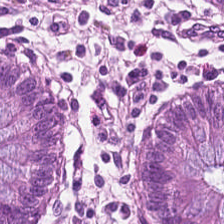Hematoxylin and eosin — The tissue here is non-neoplastic colon mucosa.
